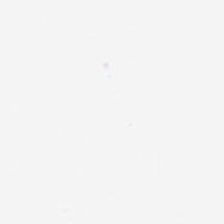H&E-stained tissue section · 0.5 µm per pixel · brightfield microscopy.
Impression → background.
